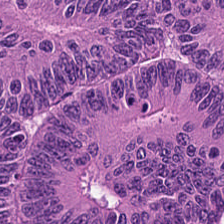0.5 µm/px. H&E-stained tissue section. 224×224 px tile.
Impression → adenocarcinoma.
